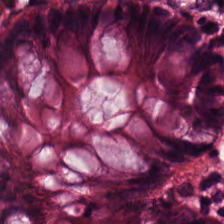Hematoxylin and eosin. Normal colon mucosa.
